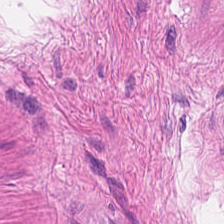This patch shows smooth-muscle tissue.
